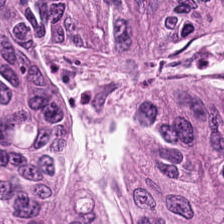{"tissue_type": "adenocarcinoma"}
